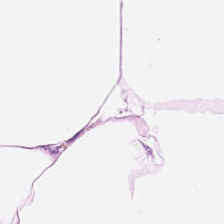Tissue: fat tissue.
